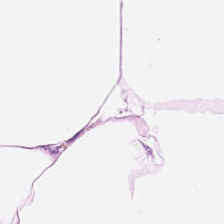Tissue: fat tissue.
